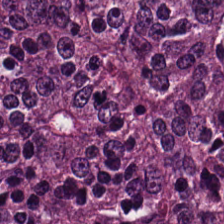Stain: H&E-stained tissue section.
Tile size: 224×224 px patch.
Resolution: 20× equivalent magnification.
Tissue class: colorectal adenocarcinoma epithelium.
